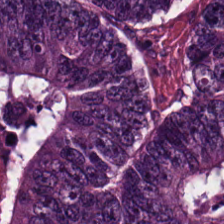H&E-stained tissue section. The predominant tissue is colorectal adenocarcinoma epithelium.
